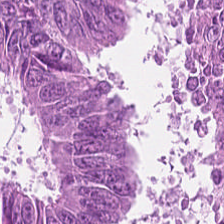Hematoxylin and eosin · 0.5 microns per pixel · brightfield microscopy — The predominant tissue is colorectal adenocarcinoma.
